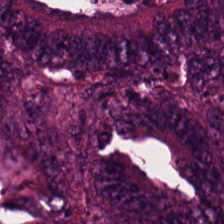H&E stain.
Malignant epithelium.
